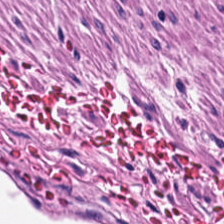WSI patch. 224×224 px patch. H&E-stained tissue section. Tissue class — smooth-muscle tissue.
